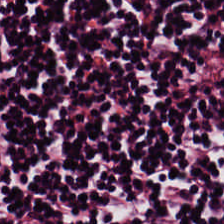H&E-stained tissue section showing lymphocytic infiltrate.
